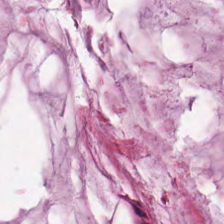H&E-stained section; the field shows mucus.
